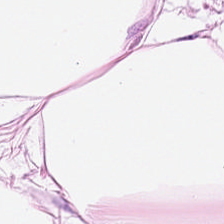Hematoxylin-and-eosin stained section. Q: What tissue type is shown here?
A: The field shows adipose.
